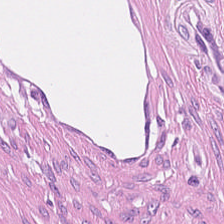Hematoxylin and eosin · whole-slide-image patch.
Tumor stroma.
